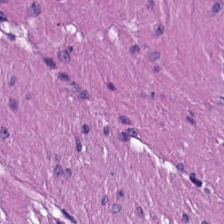Hematoxylin-and-eosin stained section. Predominant tissue — muscularis.
